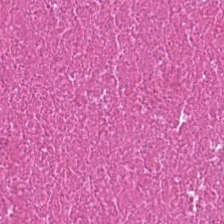H&E stain — Tissue type — cellular debris.
